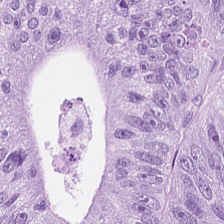Q: Identify the tissue.
A: It is colorectal adenocarcinoma.
